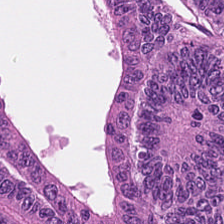H&E. Classification — adenocarcinoma.
